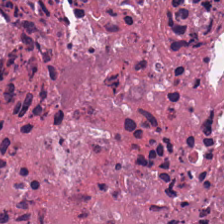This patch shows cellular debris.
